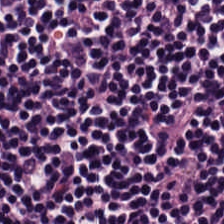H&E-stained tissue section. This field is lymphocytic infiltrate.
